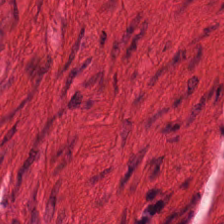Hematoxylin-and-eosin stained section.
Tissue type = smooth muscle.
